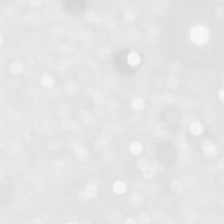FFPE; H&E. Content: empty background.
